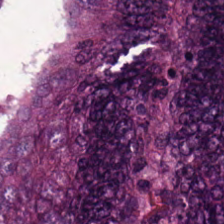Whole-slide-image patch; hematoxylin and eosin — Impression → adenocarcinoma.
